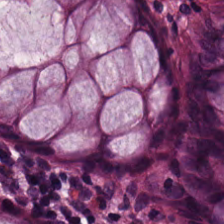Q: What tissue type is shown here?
A: This is non-neoplastic colon mucosa.
